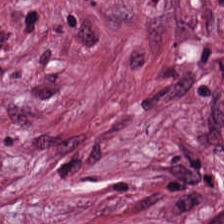Q: What is shown in this field?
A: The field shows tumor-associated stroma.
